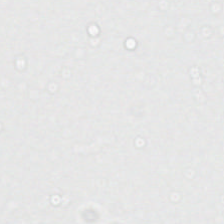Hematoxylin-and-eosin stained section; FFPE tissue section — The field content is no tissue.
